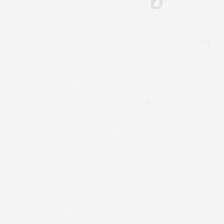No tissue present; background only.
